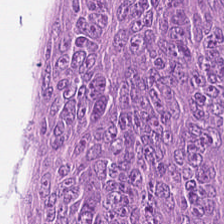FFPE. Hematoxylin and eosin. Tissue class = malignant epithelium.
